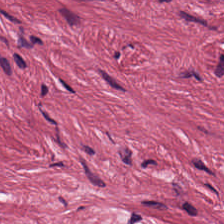H&E-stained tissue section.
The classification is tumor-associated stroma.
